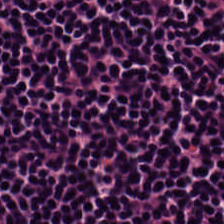Stain: hematoxylin and eosin.
Predominant tissue: lymphocytic infiltrate.
